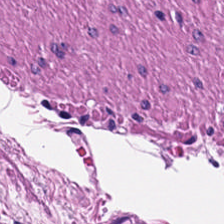Stain: H&E-stained tissue section.
Resolution: 0.5 µm/px.
Tissue: smooth muscle.
